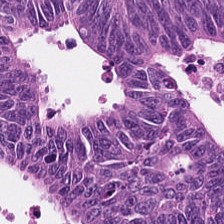H&E; FFPE — Tissue type: malignant epithelium.
